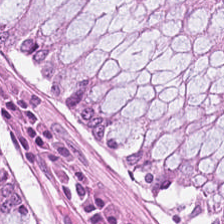H&E stain. Brightfield microscopy. 20× equivalent magnification. The predominant tissue is non-neoplastic colon mucosa.
